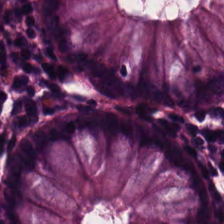H&E stain. Brightfield microscopy — Tissue type: benign colonic mucosa.
